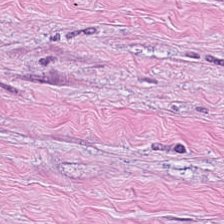FFPE tissue section. H&E-stained tissue section — This patch shows desmoplastic stroma.
